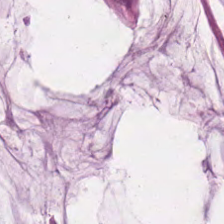Classification — mucin.
